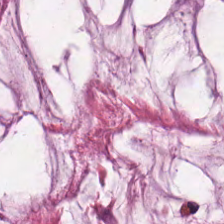Q: What type of tissue is this?
A: The field shows mucus.
